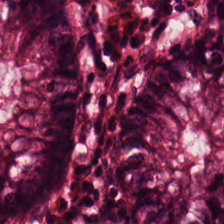H&E stain.
The classification is normal colon mucosa.
